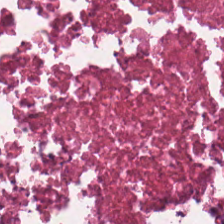Q: What tissue type is shown here?
A: The field shows necrotic debris.
